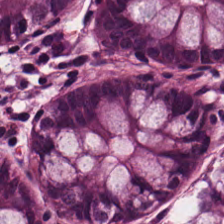Tissue: normal colonic mucosa.
